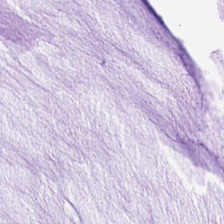Stain: H&E stain.
Classification: mucin.
